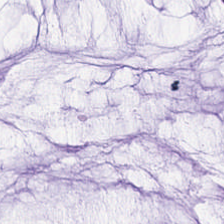{"tissue_type": "extracellular mucin"}
